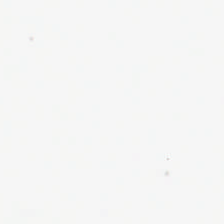Classification = background (no tissue).
